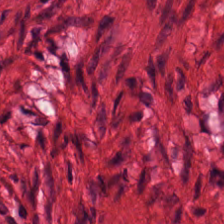FFPE; hematoxylin and eosin. The tissue is muscularis.
